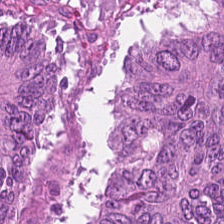H&E stain.
{"tissue_type": "malignant epithelium"}
